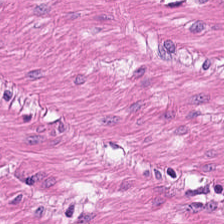Classification = smooth muscle.
